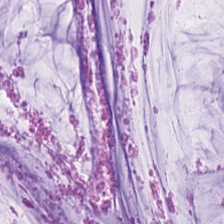H&E stain. Q: What is shown here?
A: The field shows extracellular mucin.
